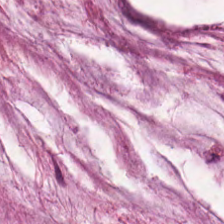Hematoxylin-and-eosin stained section. Brightfield microscopy — Classification — mucus.
